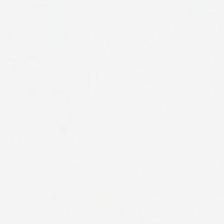Field content: background.
